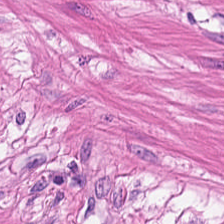224×224 pixel tile · H&E-stained tissue section · formalin-fixed paraffin-embedded section. The predominant tissue is muscularis.
